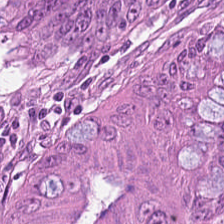Q: What does this patch show?
A: This is tumor epithelium.
